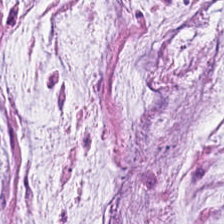Brightfield · H&E stain · 0.5 microns per pixel — Finding — extracellular mucin.
